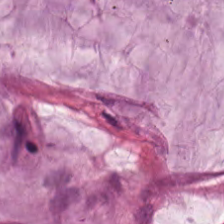H&E-stained tissue section showing mucin.
